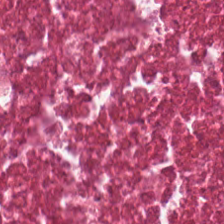Formalin-fixed paraffin-embedded section. H&E-stained tissue section — Q: Identify the tissue.
A: It is debris.
